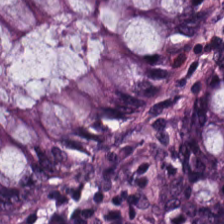Stain: H&E.
Acquisition: WSI patch.
Tissue: non-neoplastic colon mucosa.
